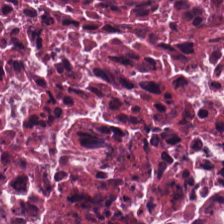H&E stain — Predominant tissue — cellular debris.
